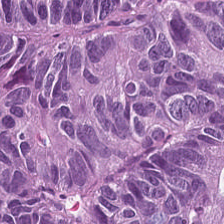Formalin-fixed paraffin-embedded section · H&E · 0.5 microns per pixel — Tumor epithelium.
